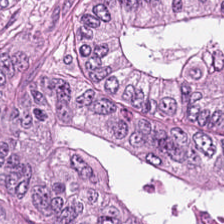Hematoxylin-and-eosin stained section · 224×224 pixel tile.
Colorectal adenocarcinoma.
